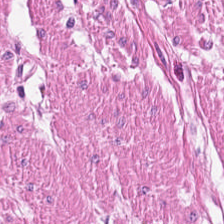Histology → smooth-muscle tissue.
